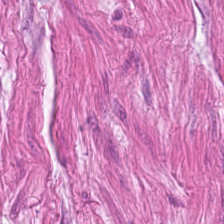H&E-stained tissue section showing muscularis.
